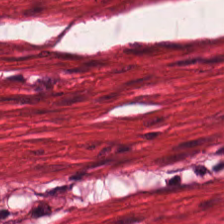Hematoxylin-and-eosin stained section — Q: Classify this patch.
A: This is muscularis.
